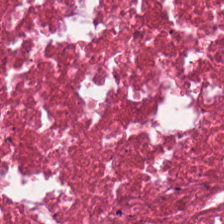H&E patch showing cellular debris.
